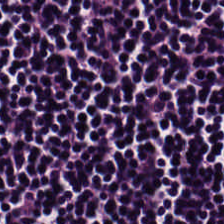H&E-stained tissue section. The tissue here is lymphocytic infiltrate.
